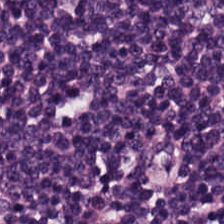This field is lymphoid infiltrate.
